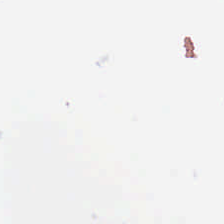224×224 pixel tile. 20× equivalent magnification. H&E stain — No tissue present; background only.
